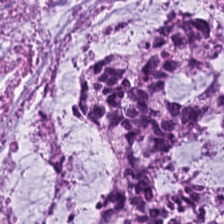Stain: H&E stain.
Tissue type: extracellular mucin.
